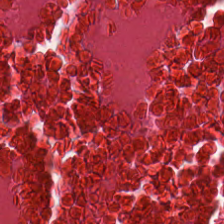Stain: H&E stain.
Predominant tissue: cellular debris.
